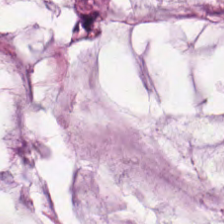Hematoxylin-and-eosin stained section.
Finding → extracellular mucin.
